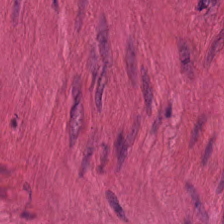Hematoxylin and eosin.
Tissue type = muscularis.
